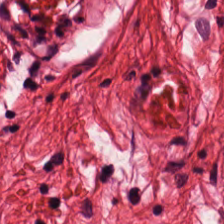20× equivalent magnification · hematoxylin-and-eosin stained section · 224×224 pixel tile.
The predominant tissue is smooth muscle.
